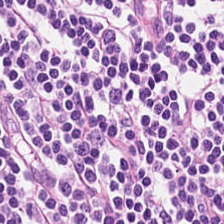Hematoxylin-and-eosin stained section · 0.5 µm per pixel. This patch shows lymphocytic infiltrate.
